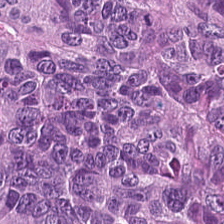224×224 px patch · FFPE tissue section · H&E stain.
The tissue here is adenocarcinoma.
